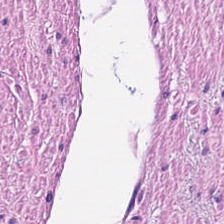224×224 px patch. H&E stain.
Predominantly smooth-muscle tissue.
